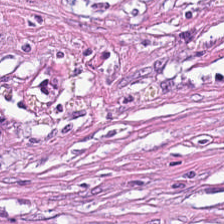Predominant tissue — cancer-associated stroma.
